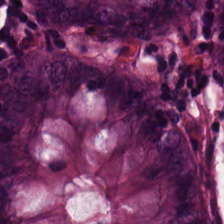H&E. Tissue type = benign colonic mucosa.
